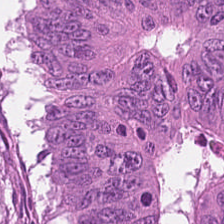H&E. Formalin-fixed paraffin-embedded section. Q: What is shown in this field?
A: This is colorectal adenocarcinoma.
